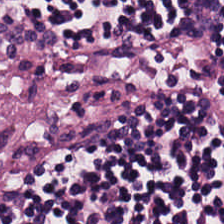Predominant tissue = lymphoid infiltrate.
